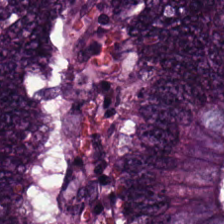Hematoxylin-and-eosin stained section — The tissue here is colorectal adenocarcinoma.
